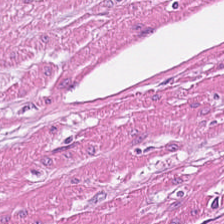Stain: hematoxylin-and-eosin stained section.
Preparation: FFPE tissue section.
Tissue class: muscularis.
